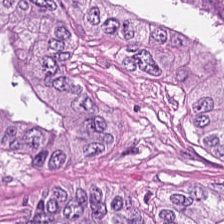This patch shows colorectal adenocarcinoma epithelium.
